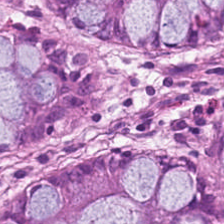H&E-stained tissue section. Tissue: non-neoplastic colon mucosa.
